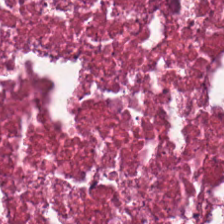Impression — necrotic debris.
